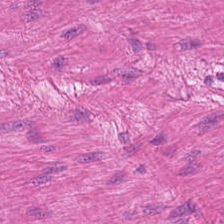Classification: smooth-muscle tissue.
